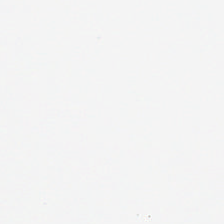H&E — Classification: background.
